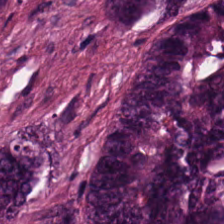H&E — Q: What is shown in this field?
A: This is tumor epithelium.
